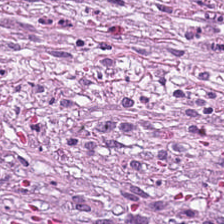H&E-stained tissue section — Finding — tumor-associated stroma.
